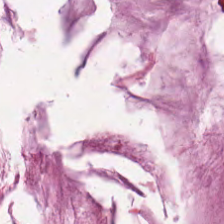H&E · 0.5 µm per pixel.
{"tissue_type": "extracellular mucin"}
